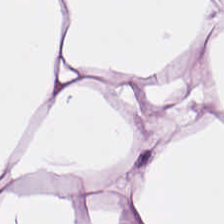WSI patch. H&E. Q: Identify the tissue.
A: It is adipocytes.
